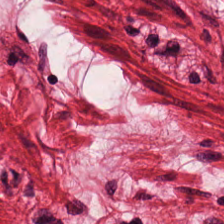Stain: H&E stain.
Tile size: 224×224 pixel tile.
Resolution: 20× equivalent magnification.
Predominant tissue: smooth muscle.
